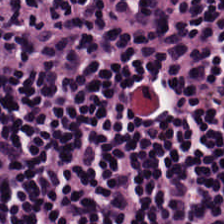H&E stain · 20× equivalent magnification · 224×224 px tile.
Q: What tissue is shown?
A: Lymphocytes.
